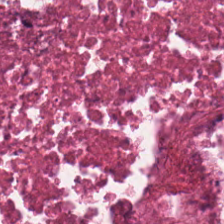Formalin-fixed paraffin-embedded section; H&E stain; 20× equivalent magnification. Tissue class = necrotic debris.
